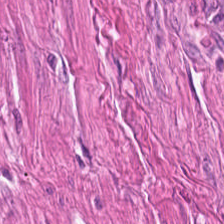H&E-stained tissue section.
Tissue = smooth-muscle tissue.
